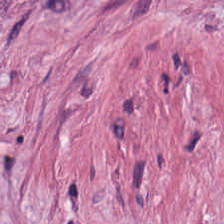H&E-stained tissue section. This field is desmoplastic stroma.
